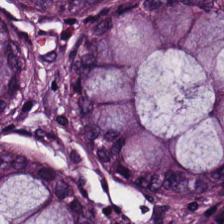Finding — normal colon mucosa.
